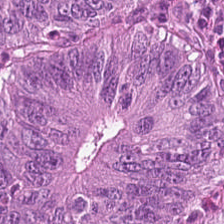H&E — Tissue = adenocarcinoma.
